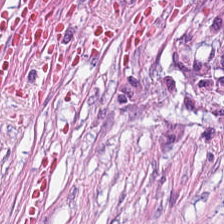Stain: H&E.
Classification: tumor-associated stroma.
